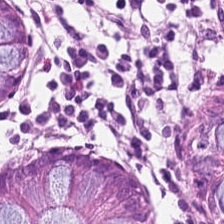H&E stain. Formalin-fixed paraffin-embedded section. 224×224 pixel tile.
Classification = non-neoplastic colon mucosa.
